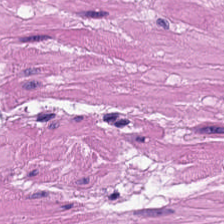Stain: H&E stain.
Tissue type: smooth-muscle tissue.
